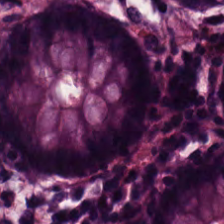FFPE · hematoxylin-and-eosin stained section. Predominantly benign colonic mucosa.
